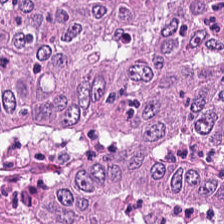FFPE tissue section. Hematoxylin and eosin. Predominantly colorectal adenocarcinoma.
